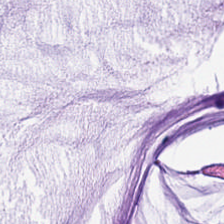Hematoxylin and eosin. FFPE.
Tissue = mucin.
